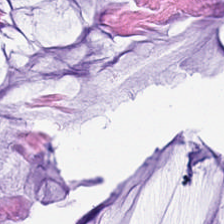H&E stain.
This patch shows mucus.
